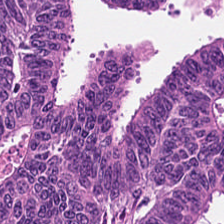H&E — colorectal adenocarcinoma.
